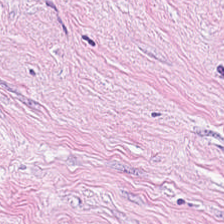H&E-stained tissue section.
Tumor stroma.
